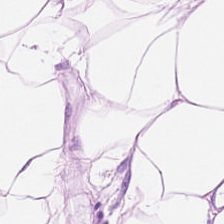Stain: hematoxylin-and-eosin stained section.
Tissue: adipocytes.
